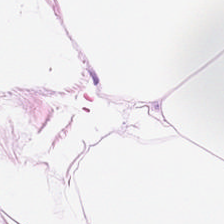Classification: adipose tissue.
